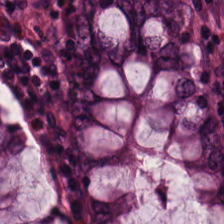H&E stain — This field is non-neoplastic colon mucosa.
